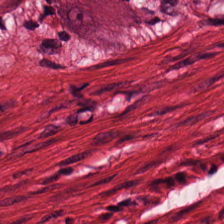H&E. 224×224 pixel tile — This field is smooth muscle.
